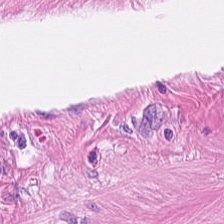{"tissue_type": "muscularis"}
